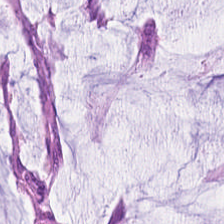Stain: hematoxylin-and-eosin stained section.
Acquisition: WSI patch.
Preparation: formalin-fixed paraffin-embedded section.
Classification: mucus.
